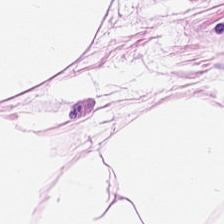224×224 pixel tile. H&E stain — This field is fat tissue.
